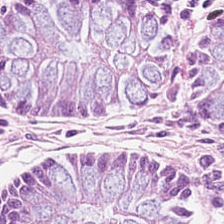H&E. Classification — non-neoplastic colon mucosa.
